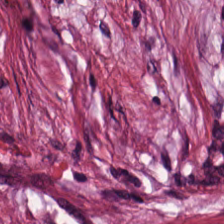224×224 pixel tile; H&E stain; 20× equivalent magnification.
The predominant tissue is cancer-associated stroma.
